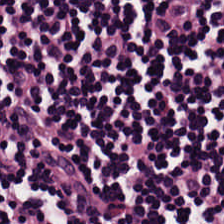Hematoxylin-and-eosin stained section.
Q: What tissue is shown?
A: It is lymphocytic infiltrate.
